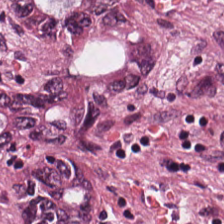224×224 px tile. Hematoxylin and eosin.
The tissue here is malignant epithelium.
